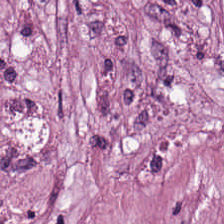H&E — desmoplastic stroma.
